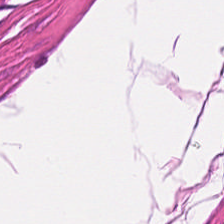0.5 µm/px; H&E stain; WSI patch. Showing muscularis.
